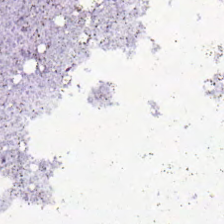0.5 µm/px. H&E. Brightfield — Empty field — no tissue.
